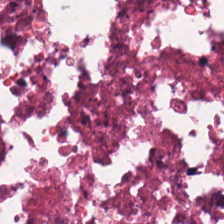Brightfield microscopy · H&E.
The tissue type is debris.
